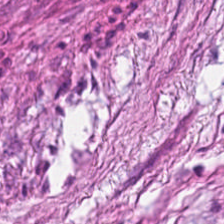Hematoxylin-and-eosin stained section — Q: Classify this patch.
A: It is tumor stroma.
